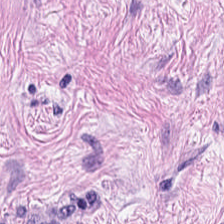Tissue class — tumor-associated stroma.
